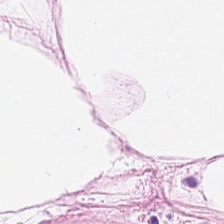H&E-stained tissue section. Impression → adipocytes.
